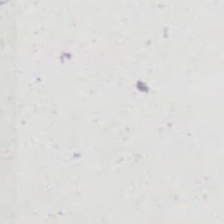FFPE. H&E-stained tissue section — Classification = no tissue.
